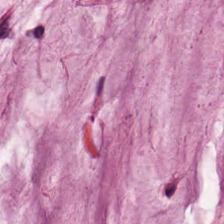{"tissue_type": "mucin"}
